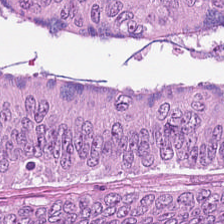H&E stain. Q: What tissue is shown?
A: Colorectal adenocarcinoma.
